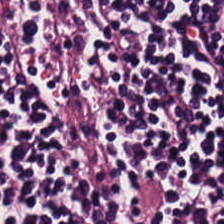Hematoxylin and eosin — {"tissue_type": "lymphocytic infiltrate"}
